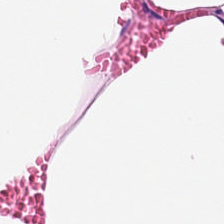Stain: H&E stain.
Predominant tissue: fat tissue.
